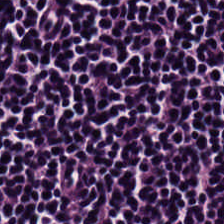Hematoxylin-and-eosin stained section.
This field is lymphocytes.
